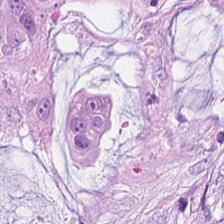H&E stain. The tissue here is mucus.
